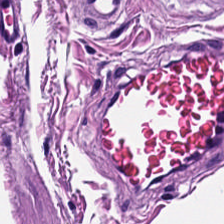H&E-stained tissue section. This field is muscularis.
